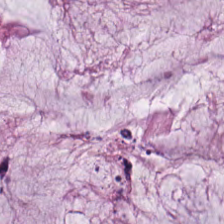Stain: hematoxylin and eosin.
Predominant tissue: mucus.
